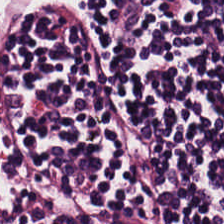224×224 px tile · H&E-stained tissue section. Finding → lymphocytes.
